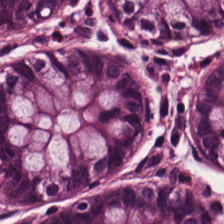Hematoxylin-and-eosin stained section; FFPE. Classification = non-neoplastic colon mucosa.
